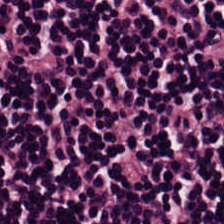FFPE · H&E.
Tissue type: lymphoid infiltrate.
